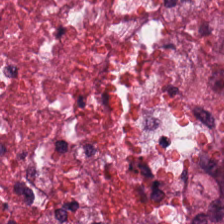Hematoxylin-and-eosin stained section — {"tissue_type": "necrotic debris"}
